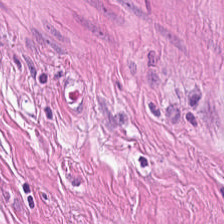FFPE tissue section; hematoxylin and eosin — The predominant tissue is muscularis.
